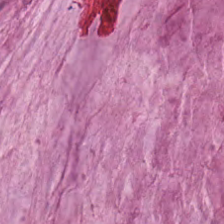Hematoxylin and eosin.
Q: What does this patch show?
A: The field shows mucus.
